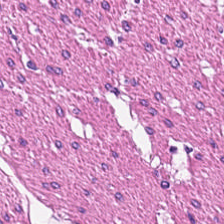Tissue type = muscularis.
